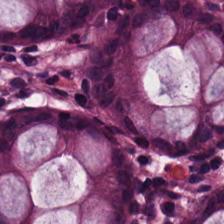H&E-stained tissue section.
The predominant tissue is non-neoplastic colon mucosa.
